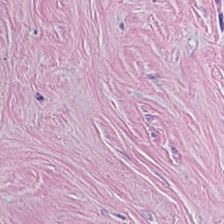Hematoxylin-and-eosin stained section.
This field is tumor-associated stroma.
